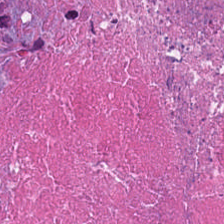H&E-stained tissue section.
The predominant tissue is debris.
